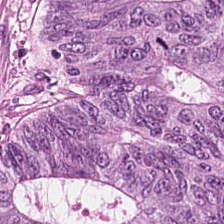H&E-stained tissue section. 224×224 px patch. Brightfield microscopy.
Tissue class: colorectal adenocarcinoma epithelium.
